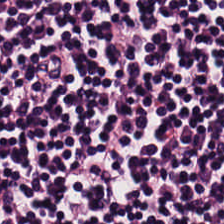Finding — lymphocyte aggregate.
